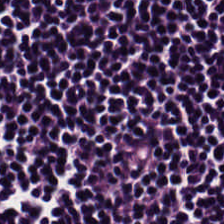FFPE · H&E-stained tissue section · brightfield.
{"tissue_type": "lymphocytic infiltrate"}
